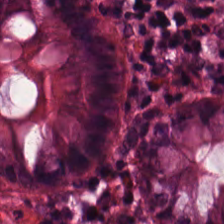FFPE tissue section · brightfield · hematoxylin-and-eosin stained section — Tissue class: normal colon mucosa.
